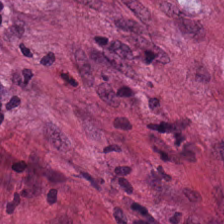Stain: hematoxylin-and-eosin stained section.
Acquisition: whole-slide-image patch.
Tile size: 224×224 pixel tile.
Tissue: tumor-associated stroma.
